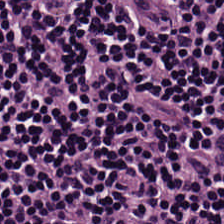This field is lymphocytic infiltrate.
